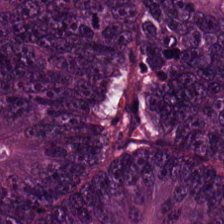224×224 px patch. 0.5 µm per pixel. H&E-stained tissue section — This patch shows colorectal adenocarcinoma epithelium.
